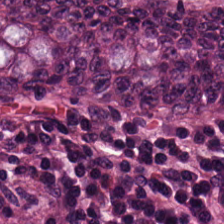Tissue: benign colonic mucosa.
